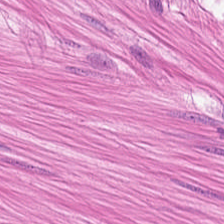H&E stain.
Showing smooth-muscle tissue.
